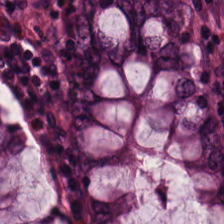Hematoxylin and eosin.
Finding → benign colonic mucosa.
